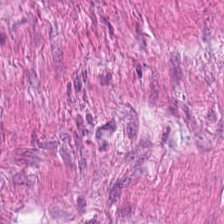Q: What is shown here?
A: It is muscularis.
